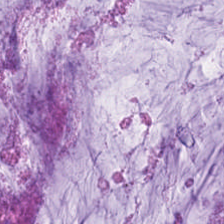Hematoxylin and eosin.
Predominantly mucus.
